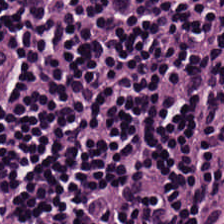Stain: H&E-stained tissue section.
Classification: lymphocytes.
